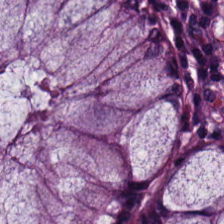H&E-stained tissue section; brightfield microscopy; 0.5 microns per pixel.
Tissue type = normal colonic mucosa.
